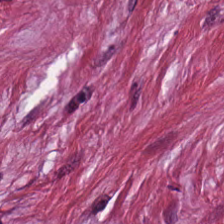H&E stain. Whole-slide-image patch. FFPE. The predominant tissue is desmoplastic stroma.
